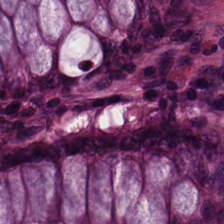Hematoxylin-and-eosin stained section. Impression — benign colonic mucosa.
